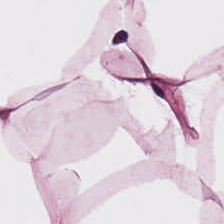The predominant tissue is adipocytes.
